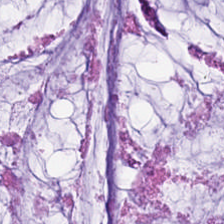H&E patch showing mucin.
